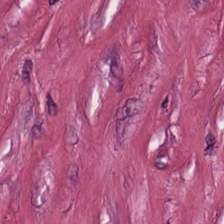The classification is tumor stroma.
